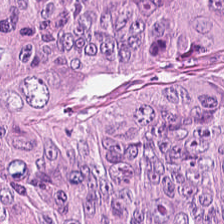Hematoxylin-and-eosin stained section. Predominant tissue: colorectal adenocarcinoma epithelium.
